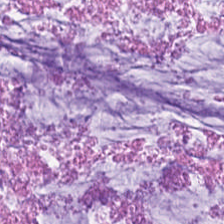20× equivalent magnification. H&E stain. Q: What is shown in this field?
A: This is extracellular mucin.
